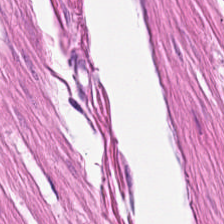Tissue type — smooth muscle.
